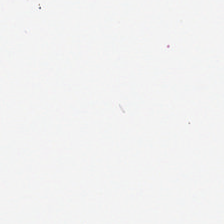H&E stain — This patch shows empty background.
